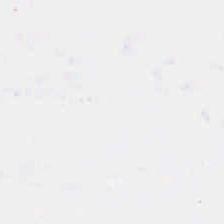FFPE; H&E stain. This field is background (no tissue).
